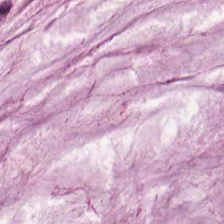Hematoxylin and eosin · 0.5 µm per pixel · FFPE tissue section. Extracellular mucin.
